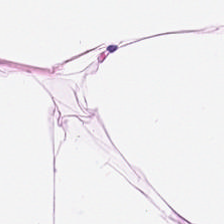FFPE tissue section; 224×224 px tile; H&E. Showing adipose tissue.
